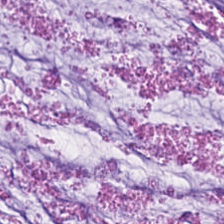Q: Classify this patch.
A: This is mucus.
